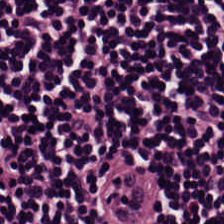H&E stain. Whole-slide-image patch — Predominantly lymphoid infiltrate.
